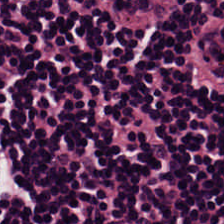H&E. 0.5 microns per pixel. Finding → lymphoid infiltrate.
